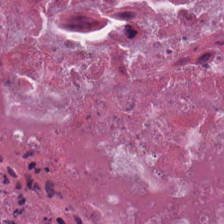H&E — debris.
